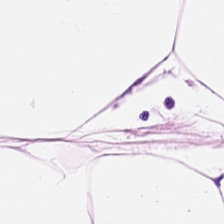Formalin-fixed paraffin-embedded section; H&E stain.
Tissue — adipocytes.
